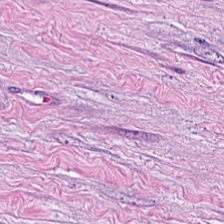The tissue here is tumor-associated stroma.
